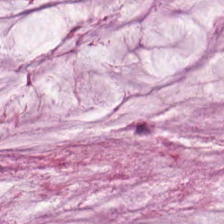Hematoxylin and eosin. Classification: mucus.
